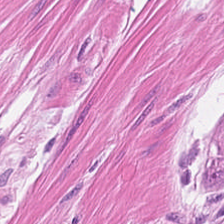Hematoxylin and eosin. 20× equivalent magnification. 224×224 pixel tile — Finding — smooth muscle.
